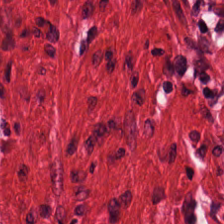This patch shows muscularis.
